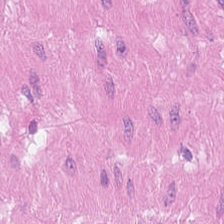Stain: H&E.
Acquisition: WSI patch.
Tissue type: muscularis.
